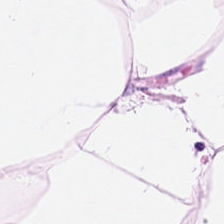H&E stain; 0.5 µm/px.
Showing fat tissue.
